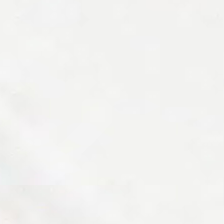Hematoxylin-and-eosin stained section — Background.
